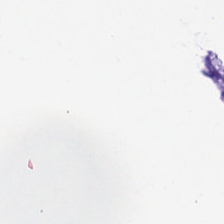Stain: H&E-stained tissue section.
Content: background (no tissue).
